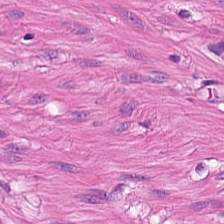Whole-slide-image patch · H&E stain — Showing smooth muscle.
